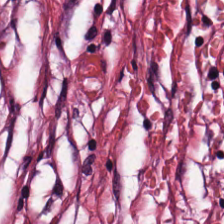224×224 px tile; H&E.
The classification is tumor stroma.
